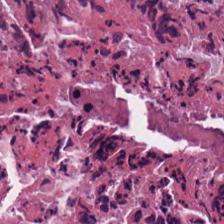H&E. Tissue type = cellular debris.
